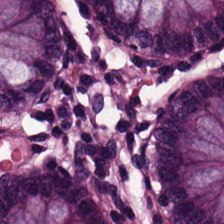0.5 microns per pixel. Hematoxylin and eosin — Showing normal colon mucosa.
